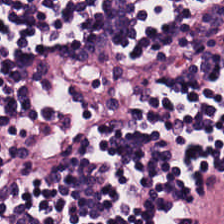H&E · 224×224 px tile · formalin-fixed paraffin-embedded section — Showing lymphocytic infiltrate.
